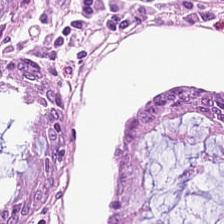H&E-stained tissue section.
Q: Classify this patch.
A: It is normal colon mucosa.
